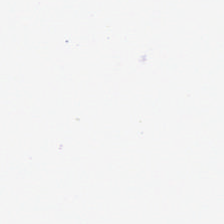WSI patch · formalin-fixed paraffin-embedded section · hematoxylin and eosin. No tissue present; background only.
